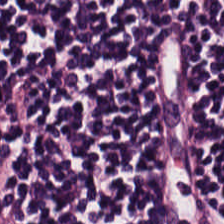Stain: H&E stain.
Tissue type: lymphoid infiltrate.
